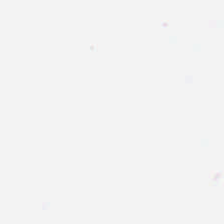Classification: background.
